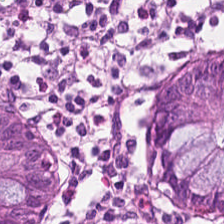The tissue here is normal colon mucosa.
